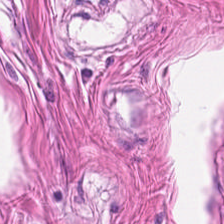H&E stain.
Finding → muscularis.
